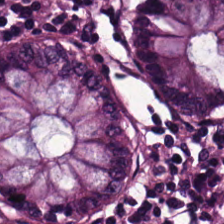0.5 µm/px · 224×224 px patch · H&E-stained tissue section.
The tissue here is non-neoplastic colon mucosa.
